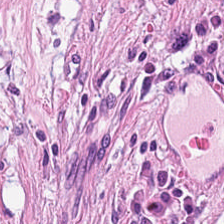H&E-stained tissue section. 224×224 px patch. 20× equivalent magnification — Histology → tumor stroma.
